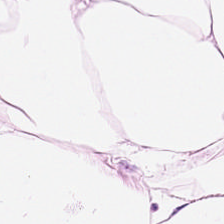H&E stain · brightfield microscopy — Q: What type of tissue is this?
A: The field shows adipose.
